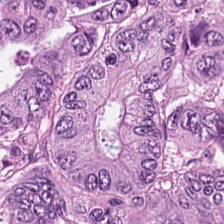H&E stain. The tissue is colorectal adenocarcinoma epithelium.
